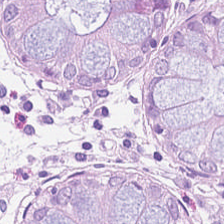Hematoxylin-and-eosin stained section. Predominantly benign colonic mucosa.
